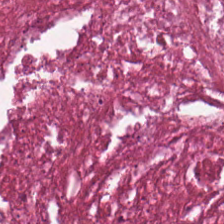Hematoxylin and eosin. Brightfield microscopy — This field is necrotic debris.
